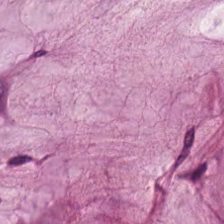H&E. The predominant tissue is extracellular mucin.
